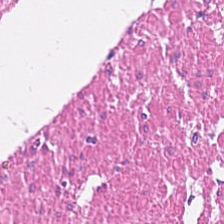Formalin-fixed paraffin-embedded section · hematoxylin-and-eosin stained section · 20× equivalent magnification. The tissue type is muscularis.
